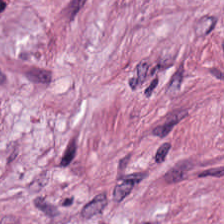H&E stain.
{"tissue_type": "cancer-associated stroma"}
